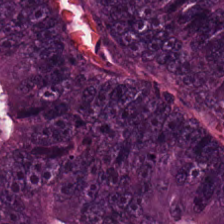H&E-stained tissue section. {"tissue_type": "colorectal adenocarcinoma epithelium"}
